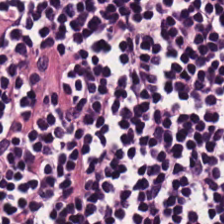Hematoxylin and eosin · 0.5 µm/px.
Q: What is shown here?
A: It is lymphocytic infiltrate.
